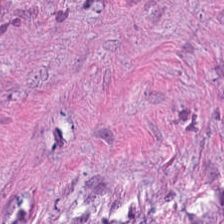20× equivalent magnification · H&E stain · whole-slide-image patch.
Tissue — desmoplastic stroma.
